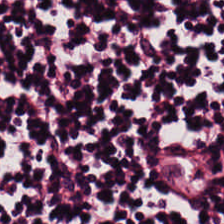0.5 µm/px · hematoxylin and eosin — Predominant tissue = lymphocytic infiltrate.
